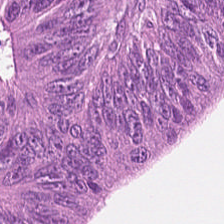This field is malignant epithelium.
